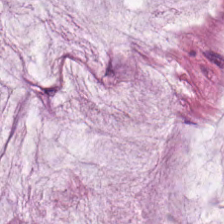Hematoxylin and eosin.
This patch shows extracellular mucin.
